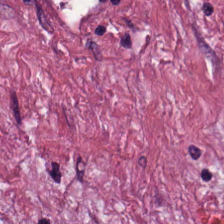Finding — cancer-associated stroma.
